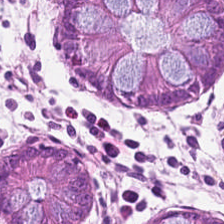H&E-stained section; the field shows normal colon mucosa.
